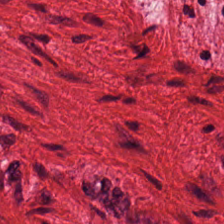Brightfield · H&E stain — Tissue = smooth-muscle tissue.
